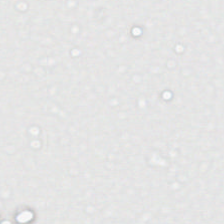Stain: hematoxylin and eosin.
Content: background.
